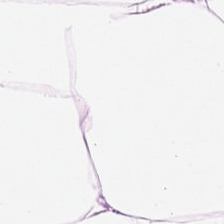Hematoxylin and eosin. Tissue class = adipose tissue.
